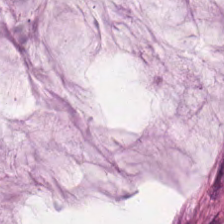The tissue here is extracellular mucin.
